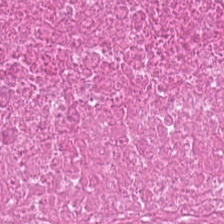H&E — debris.
